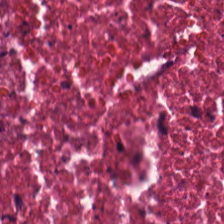Q: What tissue type is shown here?
A: Debris.
